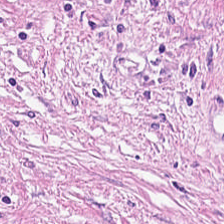H&E stain. Predominant tissue: cancer-associated stroma.
